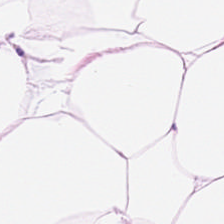Formalin-fixed paraffin-embedded section; whole-slide-image patch; H&E.
Predominantly fat tissue.
